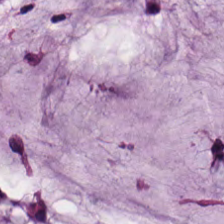Formalin-fixed paraffin-embedded section. H&E. 224×224 pixel tile. {"tissue_type": "mucin"}
